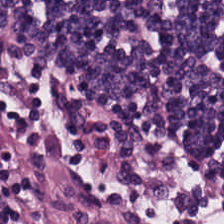Stain: H&E stain.
Resolution: 0.5 µm/px.
Classification: lymphoid infiltrate.
